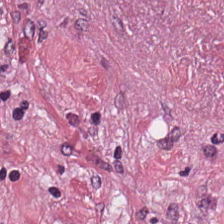Brightfield microscopy; H&E-stained tissue section — Predominantly tumor stroma.
